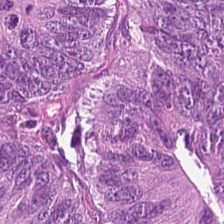Q: What is shown here?
A: It is tumor epithelium.
